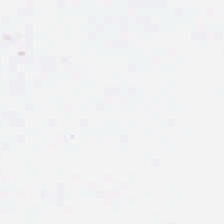Brightfield. FFPE tissue section. H&E stain — Background (no tissue).
